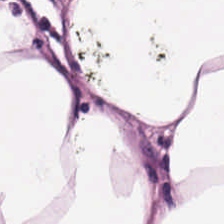Hematoxylin-and-eosin stained section · brightfield — The tissue class is adipose tissue.
